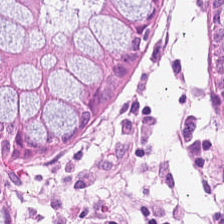Hematoxylin and eosin. This patch shows normal colonic mucosa.
